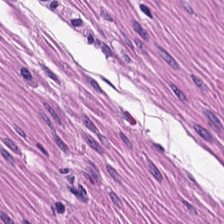Stain: H&E.
Predominant tissue: muscularis.
